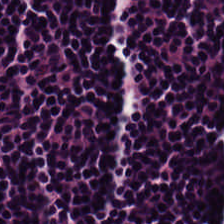Histology → lymphoid infiltrate.
